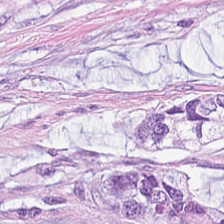H&E stain · 224×224 pixel tile.
Q: What type of tissue is this?
A: This is mucus.
